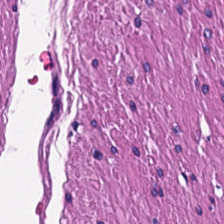H&E-stained section; the field shows muscularis.
